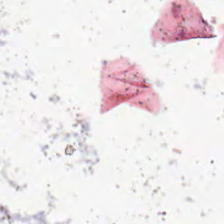Hematoxylin and eosin. 0.5 microns per pixel. Content = background.
